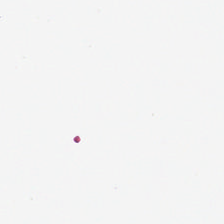Classification: background.
